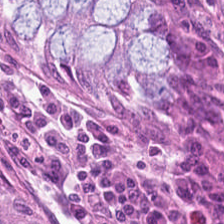0.5 microns per pixel · H&E stain. Impression → normal colon mucosa.
